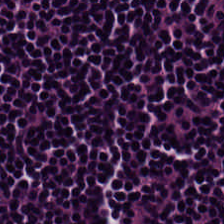Impression — lymphocytes.
